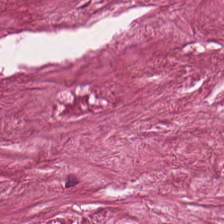H&E-stained tissue section · brightfield microscopy · 0.5 µm/px.
This field is tumor-associated stroma.
